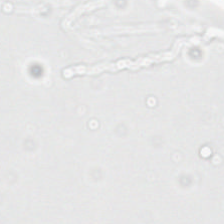H&E stain. No tissue present; background only.
